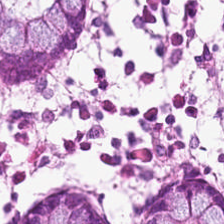0.5 µm per pixel; formalin-fixed paraffin-embedded section; H&E.
Q: What does this patch show?
A: This is non-neoplastic colon mucosa.
